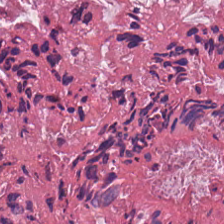H&E · FFPE — Tissue type: necrotic debris.
